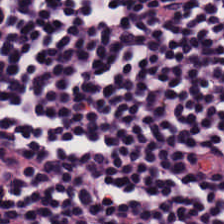H&E stain; 0.5 microns per pixel. Lymphocyte aggregate.
